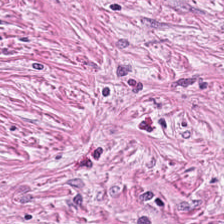Stain: hematoxylin-and-eosin stained section.
Tile size: 224×224 pixel tile.
Acquisition: WSI patch.
Tissue type: tumor-associated stroma.
